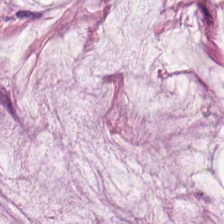Hematoxylin and eosin; 224×224 px patch. Mucin.
